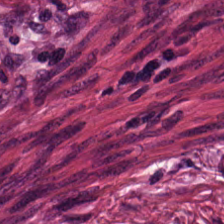The tissue here is tumor-associated stroma.
